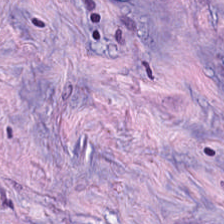Stain: hematoxylin and eosin.
Tissue class: tumor-associated stroma.
